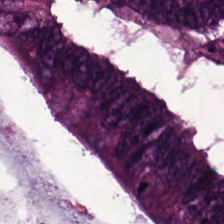Stain: hematoxylin and eosin.
Tile size: 224×224 px tile.
Resolution: 20× equivalent magnification.
Tissue: adenocarcinoma.
